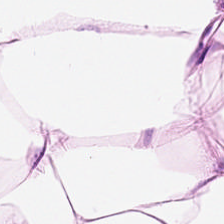Brightfield. H&E. Showing adipose tissue.
